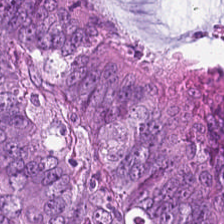Hematoxylin and eosin · 224×224 px patch — The predominant tissue is colorectal adenocarcinoma epithelium.
